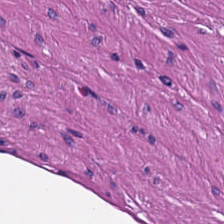0.5 µm per pixel · H&E · 224×224 px patch — Q: What is shown in this field?
A: The field shows smooth muscle.
